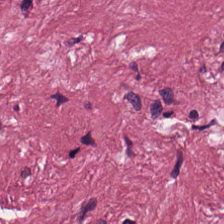Predominant tissue: cancer-associated stroma.
